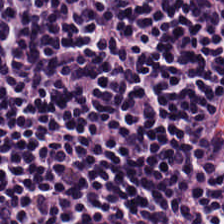H&E; 224×224 pixel tile; whole-slide-image patch — Finding — lymphocytes.
